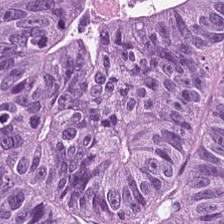H&E stain. 224×224 px tile. 0.5 µm per pixel.
Tissue class = tumor epithelium.
